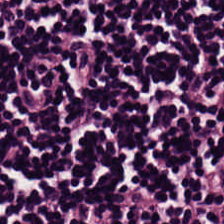H&E stain — Q: Identify the tissue.
A: The field shows lymphoid infiltrate.
